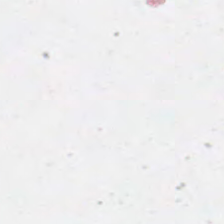This field is background (no tissue).
